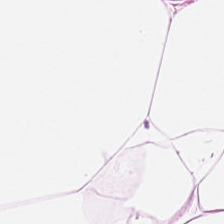H&E-stained tissue section. Brightfield. 0.5 µm per pixel.
Histology → adipose.
